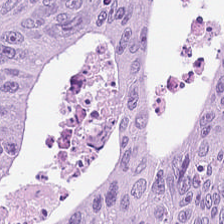H&E stain; 20× equivalent magnification.
The predominant tissue is colorectal adenocarcinoma epithelium.
